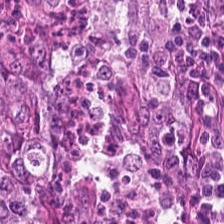Q: What is shown here?
A: This is colorectal adenocarcinoma.
